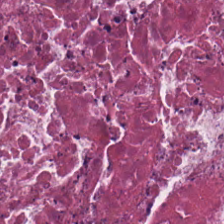0.5 µm per pixel. H&E stain.
Q: What does this patch show?
A: Debris.
